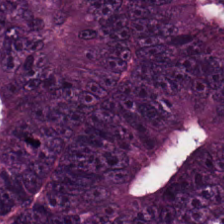The tissue class is tumor epithelium.
